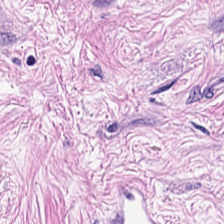H&E stain — {"tissue_type": "desmoplastic stroma"}
